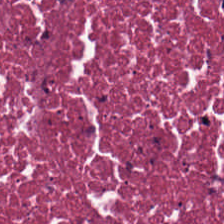This field is cellular debris.
